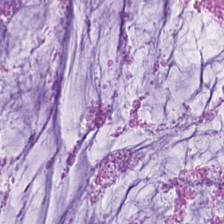0.5 microns per pixel · hematoxylin and eosin · 224×224 px tile.
Showing extracellular mucin.
